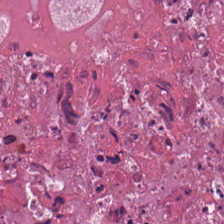The tissue here is cellular debris.
